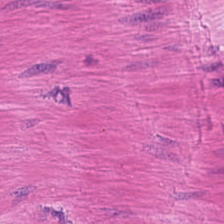H&E stain — Predominant tissue: smooth-muscle tissue.
